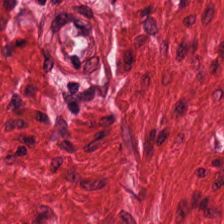Predominant tissue — smooth-muscle tissue.
